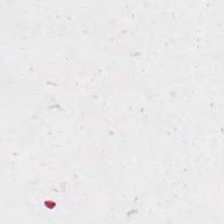H&E.
Empty background.
